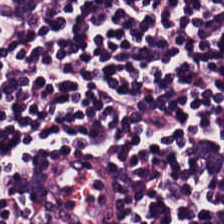H&E — The tissue class is lymphoid infiltrate.
